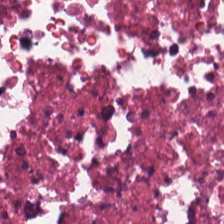Hematoxylin-and-eosin stained section.
Predominantly debris.
